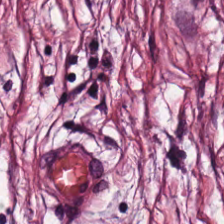FFPE tissue section. 0.5 µm/px. Hematoxylin and eosin.
The tissue is tumor-associated stroma.
